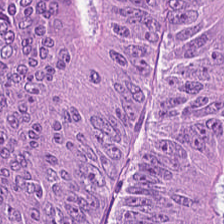Q: Identify the tissue.
A: Colorectal adenocarcinoma epithelium.
